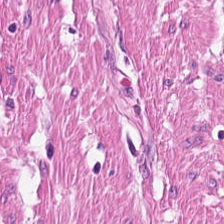Q: What is shown here?
A: Muscularis.
